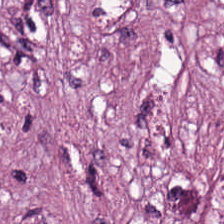H&E-stained tissue section · brightfield microscopy.
Impression — desmoplastic stroma.
